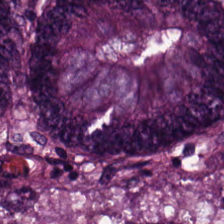Predominant tissue — adenocarcinoma.
